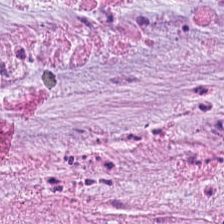224×224 px patch · brightfield microscopy · H&E stain. Q: What is the predominant tissue type?
A: Mucus.
